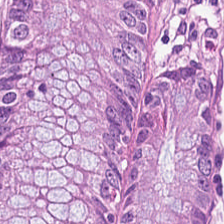Hematoxylin-and-eosin stained section · 224×224 pixel tile · 20× equivalent magnification.
The predominant tissue is non-neoplastic colon mucosa.
